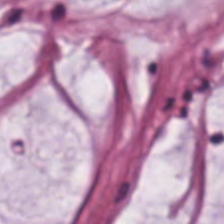H&E-stained tissue section. Extracellular mucin.
